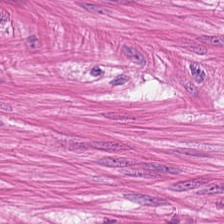Hematoxylin and eosin. The tissue here is smooth muscle.
